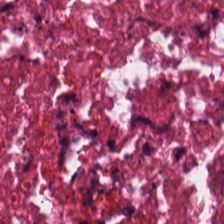H&E-stained tissue section — This patch shows debris.
